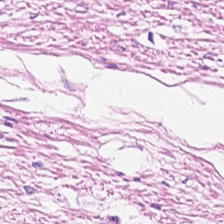H&E-stained tissue section. 224×224 px patch.
Q: Classify this patch.
A: The field shows smooth-muscle tissue.
